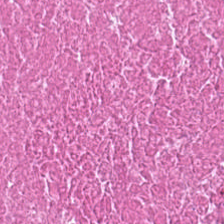0.5 microns per pixel · FFPE tissue section · H&E stain — Predominantly necrotic debris.
